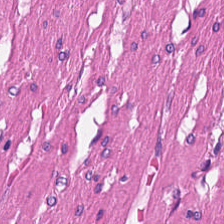224×224 px patch · brightfield · hematoxylin-and-eosin stained section.
Q: What does this patch show?
A: This is muscularis.
